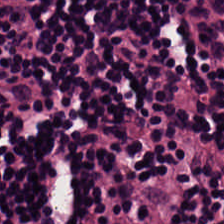H&E. This field is lymphoid infiltrate.
